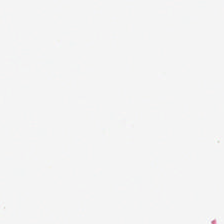Background — no tissue in this field.
